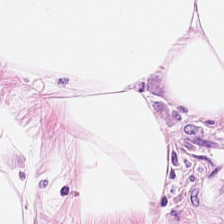H&E-stained tissue section. Q: Identify the tissue.
A: Adipocytes.
